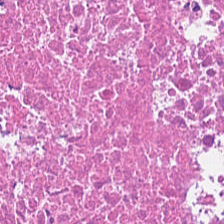Cellular debris.
